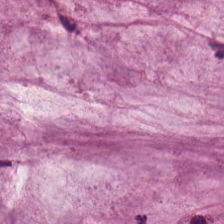Stain: hematoxylin and eosin.
Tissue class: mucus.
